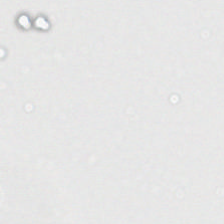H&E · 224×224 px patch. {"content": "background (no tissue)"}
